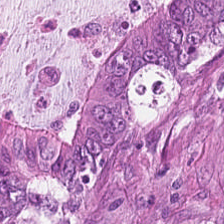Q: Identify the tissue.
A: This is malignant epithelium.
